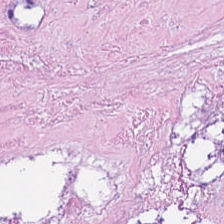H&E.
The tissue here is debris.
